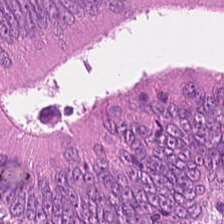WSI patch; H&E stain.
Q: What tissue is shown?
A: Colorectal adenocarcinoma.
